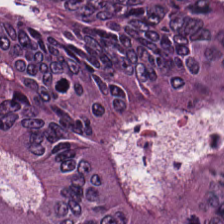Finding — tumor epithelium.
